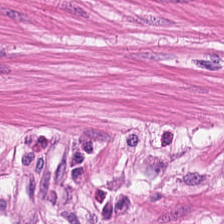Brightfield. Hematoxylin and eosin. FFPE tissue section.
Impression — smooth muscle.
